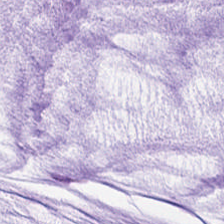Hematoxylin-and-eosin section: mucin.
